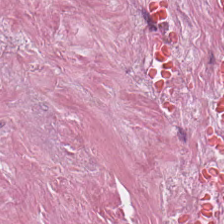H&E stain.
This field is desmoplastic stroma.
